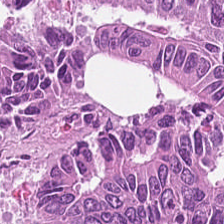WSI patch · H&E stain. Tissue type = tumor epithelium.
